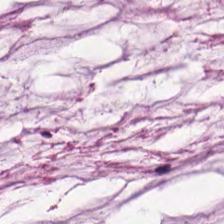Tissue type — mucus.
